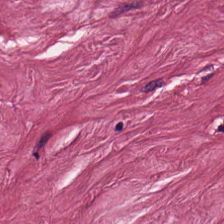224×224 px patch; hematoxylin-and-eosin stained section — Tissue type — tumor-associated stroma.
